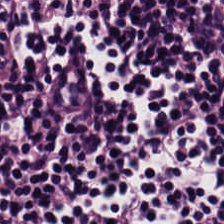This patch shows lymphoid infiltrate.
